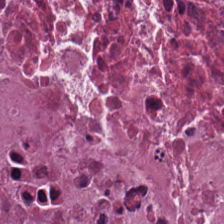H&E stain.
Q: What type of tissue is this?
A: The field shows necrotic debris.
